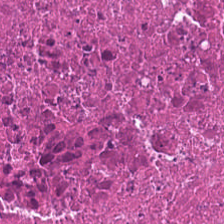224×224 pixel tile · whole-slide-image patch · hematoxylin-and-eosin stained section — The tissue type is cellular debris.
